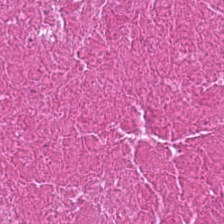Stain: H&E-stained tissue section.
Predominant tissue: necrotic debris.
